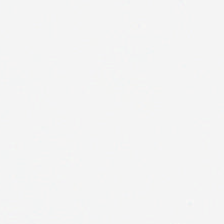Hematoxylin-and-eosin stained section.
Empty field — background (no tissue).
